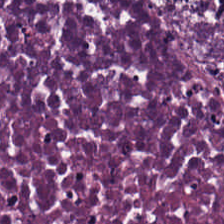Stain: hematoxylin-and-eosin stained section.
Tissue: debris.
